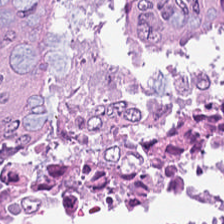Showing colorectal adenocarcinoma epithelium.
